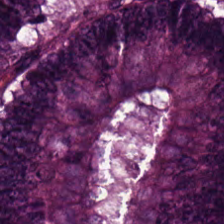Stain: H&E stain.
Tile size: 224×224 px patch.
Resolution: 0.5 µm/px.
Tissue type: adenocarcinoma.
